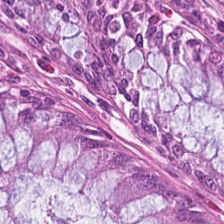0.5 µm/px · 224×224 px patch · H&E-stained tissue section.
The predominant tissue is normal colon mucosa.
